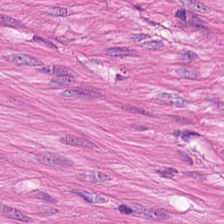Hematoxylin-and-eosin section: muscularis.
